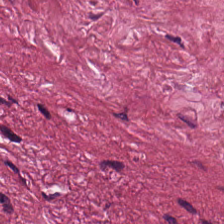Hematoxylin and eosin. FFPE tissue section.
Tissue class: tumor stroma.
